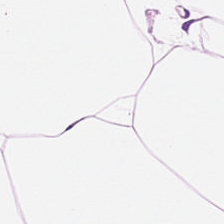H&E-stained tissue section — Showing adipose.
